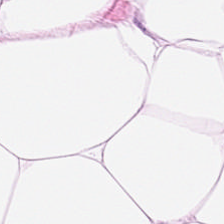Stain: H&E stain.
Preparation: FFPE tissue section.
Tissue: adipocytes.
